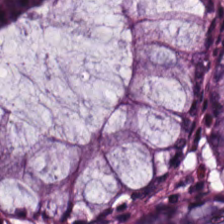0.5 µm/px · hematoxylin-and-eosin stained section · FFPE tissue section. Histology — normal colon mucosa.
